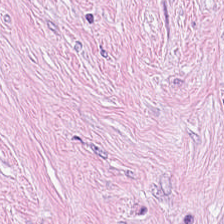Stain: H&E-stained tissue section.
Tissue: cancer-associated stroma.
